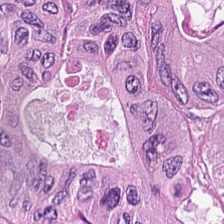H&E — tumor epithelium.
